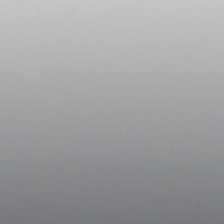Q: What does this patch show?
A: This is background (no tissue).
